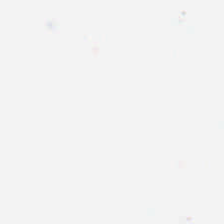Hematoxylin-and-eosin stained section. Classification: empty background.
